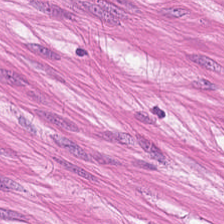224×224 px patch · hematoxylin and eosin.
Impression — smooth-muscle tissue.
